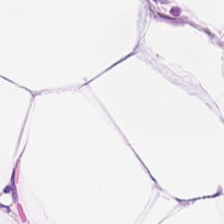This field is adipose tissue.
